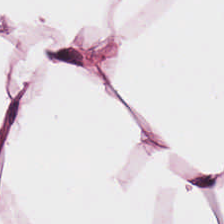WSI patch · hematoxylin-and-eosin stained section · 0.5 µm per pixel. Classification — adipocytes.
